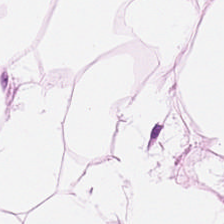H&E-stained tissue section. 0.5 microns per pixel.
Finding → fat tissue.
